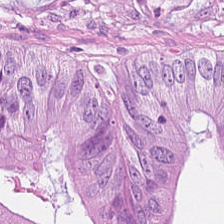Hematoxylin-and-eosin stained section — Tissue class = adenocarcinoma.
